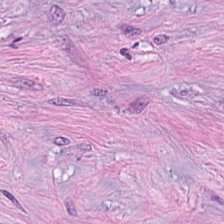Hematoxylin and eosin; 0.5 microns per pixel.
Predominant tissue = tumor stroma.
